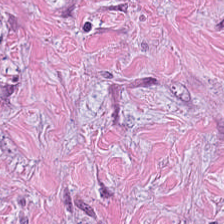H&E. Brightfield microscopy — The tissue here is tumor-associated stroma.
